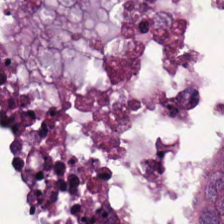224×224 pixel tile; hematoxylin-and-eosin stained section.
The tissue type is malignant epithelium.
